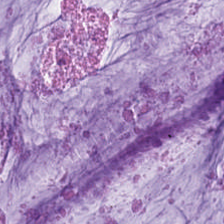H&E-stained tissue section; FFPE; 0.5 µm/px.
The tissue type is mucin.
